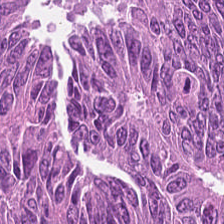H&E-stained tissue section. Predominantly colorectal adenocarcinoma epithelium.
